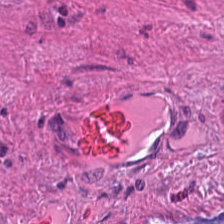Hematoxylin-and-eosin stained section. Formalin-fixed paraffin-embedded section — Finding — mucus.
